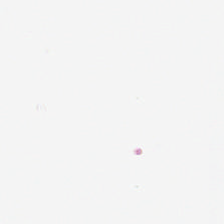H&E stain. 0.5 µm/px — Content: background (no tissue).
